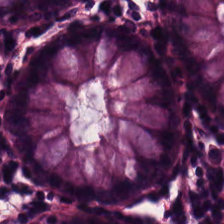224×224 px patch · 20× equivalent magnification · H&E-stained tissue section. Classification — non-neoplastic colon mucosa.
